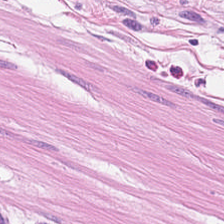Stain: hematoxylin and eosin.
Predominant tissue: muscularis.
